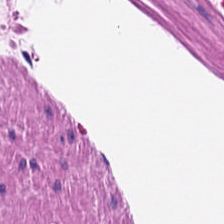0.5 microns per pixel. H&E-stained tissue section — Muscularis.
